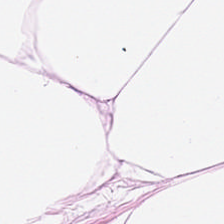H&E stain — {"tissue_type": "fat tissue"}
